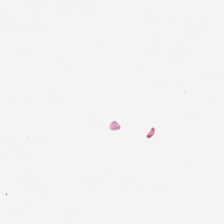Stain: H&E-stained tissue section.
Resolution: 0.5 microns per pixel.
Content: background (no tissue).
